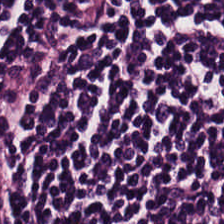224×224 px tile; hematoxylin and eosin.
The classification is lymphoid infiltrate.
